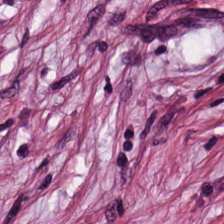Hematoxylin and eosin · 0.5 microns per pixel · 224×224 px patch. Predominantly tumor stroma.
